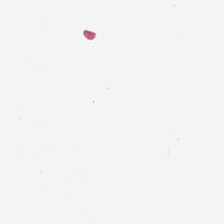Content — background.
